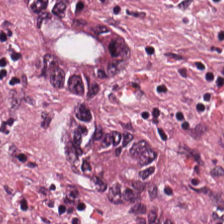Q: What tissue type is shown here?
A: This is colorectal adenocarcinoma.
